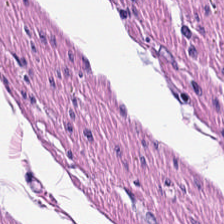Hematoxylin and eosin.
This patch shows smooth muscle.
